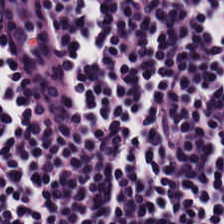H&E.
Q: What does this patch show?
A: Lymphocytic infiltrate.
